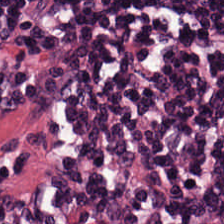Q: What is shown in this field?
A: It is lymphocytes.
